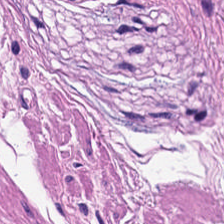Hematoxylin-and-eosin section: smooth muscle.
